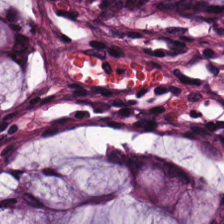Brightfield. 0.5 microns per pixel. H&E-stained tissue section.
Q: What type of tissue is this?
A: It is normal colonic mucosa.
